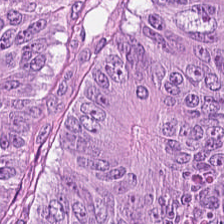224×224 px tile · H&E-stained tissue section — This patch shows tumor epithelium.
